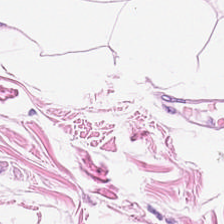Finding → fat tissue.
